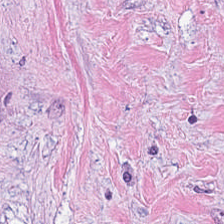Hematoxylin and eosin. The predominant tissue is desmoplastic stroma.
